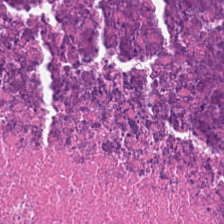The tissue type is cellular debris.
